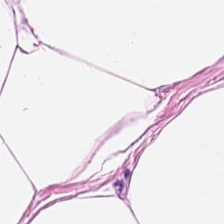H&E-stained section; the field shows adipose tissue.
